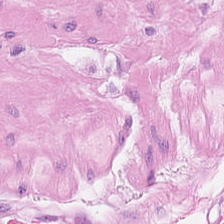Hematoxylin-and-eosin stained section. Finding — smooth-muscle tissue.
